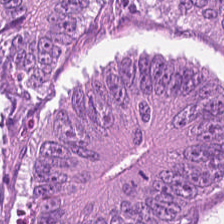H&E stain · 224×224 px tile — The classification is tumor epithelium.
